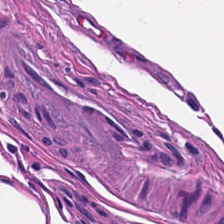0.5 µm per pixel; H&E.
Q: What tissue is shown?
A: The field shows smooth-muscle tissue.
